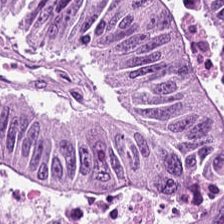Brightfield microscopy. H&E — Tissue type: malignant epithelium.
